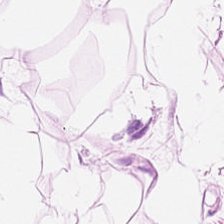The predominant tissue is adipose.
